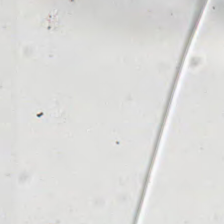Hematoxylin and eosin.
The content is empty background.
